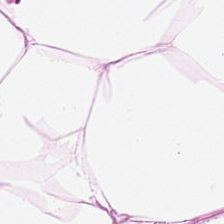Formalin-fixed paraffin-embedded section. Hematoxylin and eosin. The predominant tissue is adipocytes.
